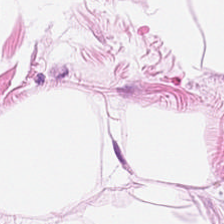Hematoxylin-and-eosin stained section; whole-slide-image patch. Histology → adipose.
